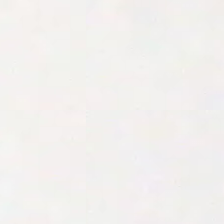Hematoxylin-and-eosin stained section · 0.5 microns per pixel · brightfield microscopy — Finding → background (no tissue).
